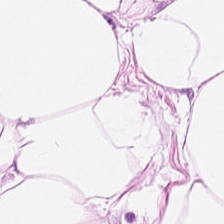0.5 µm per pixel · hematoxylin and eosin. {"tissue_type": "fat tissue"}
